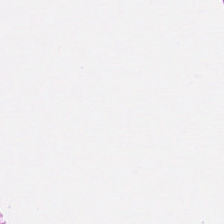224×224 px tile; FFPE tissue section; H&E stain.
Histology → smooth muscle.
